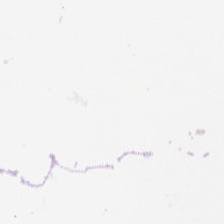Hematoxylin and eosin. 0.5 µm/px — Background (no tissue).
